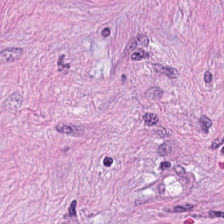Predominant tissue: tumor stroma.
